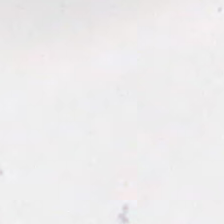Hematoxylin and eosin. The classification is no tissue.
